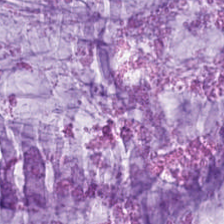Whole-slide-image patch · 224×224 px patch · H&E stain.
Q: What tissue type is shown here?
A: It is extracellular mucin.
